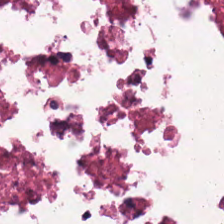Cellular debris.
